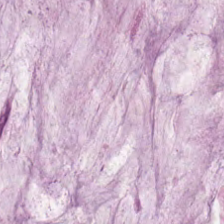Hematoxylin-and-eosin stained section. Brightfield. Tissue type = mucin.
